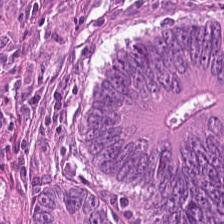Hematoxylin-and-eosin stained section; WSI patch; formalin-fixed paraffin-embedded section.
Histology — malignant epithelium.
